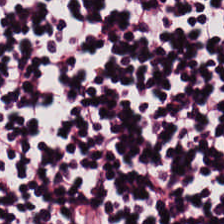FFPE. H&E-stained tissue section. The tissue is lymphoid infiltrate.
